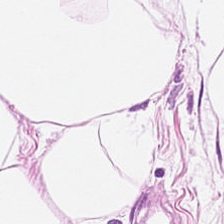H&E. Classification = adipose tissue.
